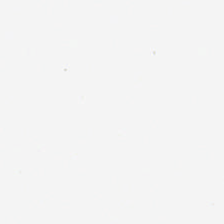Hematoxylin and eosin.
This field is background (no tissue).
